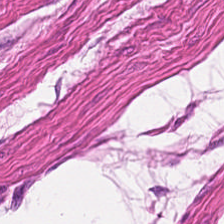H&E stain.
Predominantly smooth muscle.
